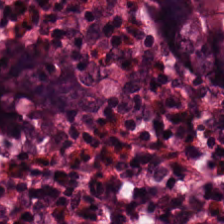FFPE tissue section; hematoxylin and eosin.
Finding → non-neoplastic colon mucosa.
